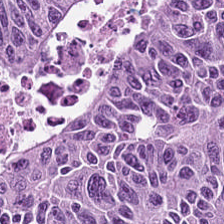H&E stain. 0.5 µm/px. Q: Identify the tissue.
A: The field shows malignant epithelium.
